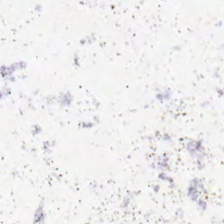Stain: H&E-stained tissue section.
Acquisition: brightfield microscopy.
Content: empty background.
